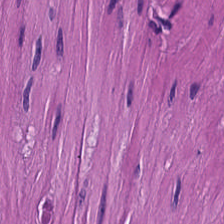H&E — Tissue = smooth muscle.
